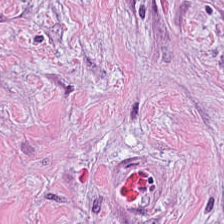Hematoxylin and eosin. Predominantly tumor-associated stroma.
